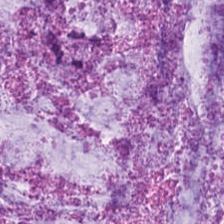Hematoxylin and eosin.
Q: What tissue is shown?
A: Extracellular mucin.
